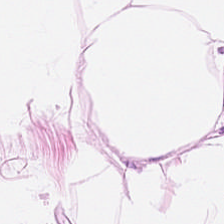Stain: H&E-stained tissue section.
Resolution: 20× equivalent magnification.
Classification: adipose.
